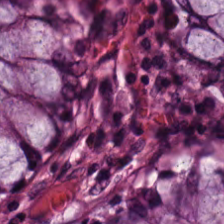Tissue — normal colon mucosa.
